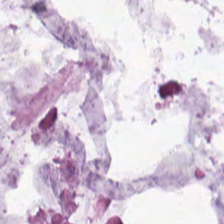Formalin-fixed paraffin-embedded section. H&E-stained tissue section — Tissue class — mucin.
